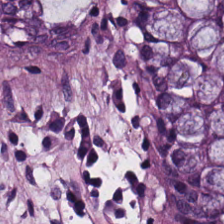H&E; 0.5 µm per pixel. This field is benign colonic mucosa.
